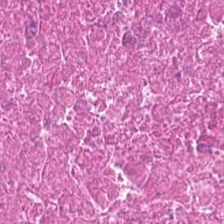0.5 µm per pixel · 224×224 px patch · hematoxylin and eosin — Q: What is shown here?
A: The field shows cellular debris.
